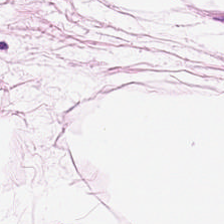Tissue type = adipocytes.
